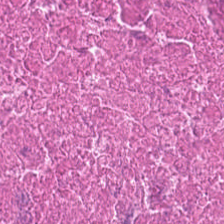H&E-stained tissue section — Q: What is shown in this field?
A: This is debris.
